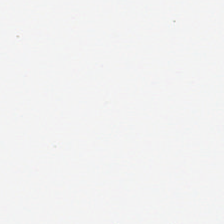H&E-stained tissue section.
This patch shows background (no tissue).
